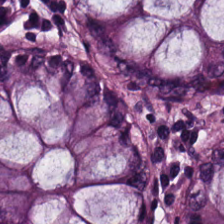Hematoxylin and eosin — Q: What tissue is shown?
A: It is normal colon mucosa.
